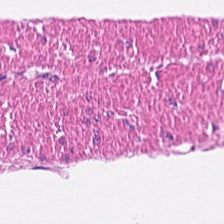H&E stain — Q: Classify this patch.
A: This is smooth-muscle tissue.
